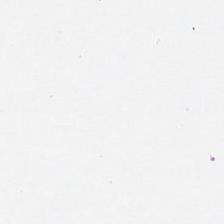224×224 pixel tile. H&E stain.
Q: What is shown here?
A: No tissue.
